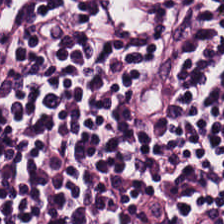{"tissue_type": "lymphocytes"}
